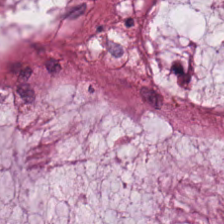H&E.
Tissue = mucus.
